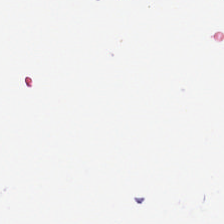H&E — Content — no tissue.
